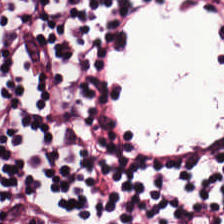Stain: H&E.
Tissue type: lymphoid infiltrate.
